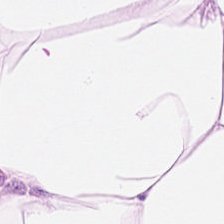Tissue — adipocytes.
